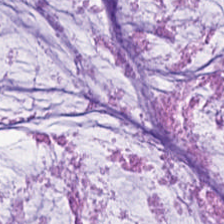224×224 px tile. Hematoxylin-and-eosin stained section — Impression → mucus.
